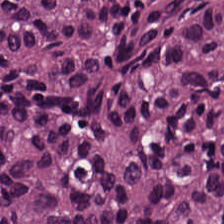Hematoxylin-and-eosin stained section. This field is malignant epithelium.
